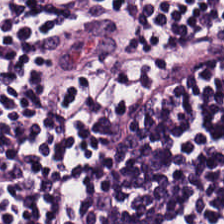224×224 pixel tile; H&E-stained tissue section; 0.5 microns per pixel — Histology — lymphocytic infiltrate.
